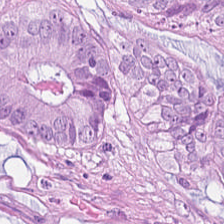H&E. Q: What does this patch show?
A: This is colorectal adenocarcinoma.
